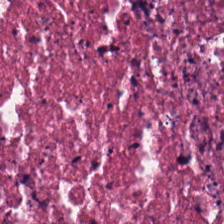H&E stain · 224×224 pixel tile — Cellular debris.
